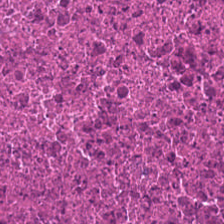0.5 microns per pixel. H&E.
Q: What type of tissue is this?
A: Necrotic debris.
